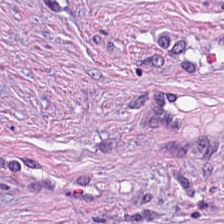FFPE tissue section; H&E stain — The tissue type is tumor stroma.
